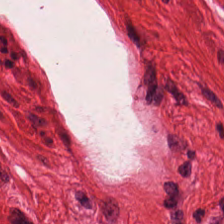H&E patch showing smooth-muscle tissue.
